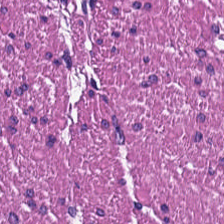H&E. FFPE — The tissue here is smooth muscle.
